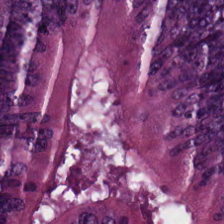Stain: hematoxylin-and-eosin stained section.
Tissue: colorectal adenocarcinoma epithelium.
